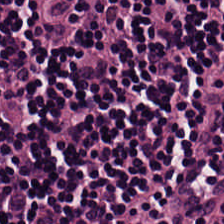0.5 µm/px. Hematoxylin and eosin — Lymphocyte aggregate.
